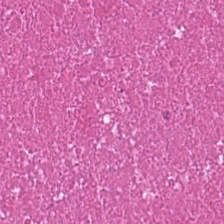Hematoxylin and eosin · brightfield microscopy. Predominant tissue: necrotic debris.
